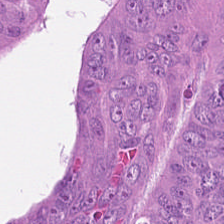H&E stain. 224×224 pixel tile. Whole-slide-image patch.
Tissue type = colorectal adenocarcinoma.
